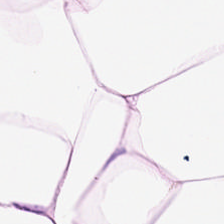H&E stain. This patch shows adipose tissue.
